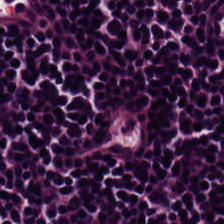H&E stain. The tissue type is lymphocyte aggregate.
